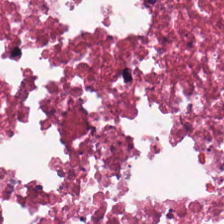H&E stain — The tissue here is debris.
